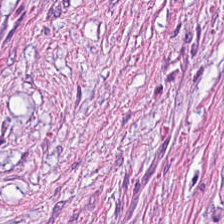Q: Classify this patch.
A: Tumor stroma.
